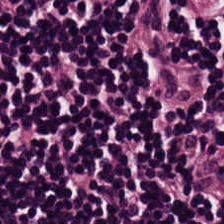The tissue here is lymphocytes.
